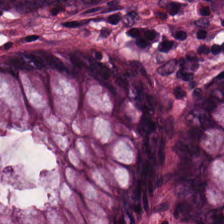Predominantly non-neoplastic colon mucosa.
